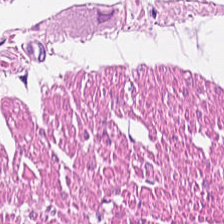Stain: hematoxylin-and-eosin stained section.
Acquisition: whole-slide-image patch.
Predominant tissue: smooth-muscle tissue.
